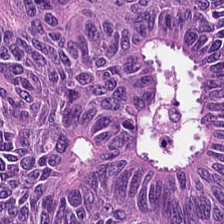H&E-stained tissue section.
Predominantly colorectal adenocarcinoma epithelium.
